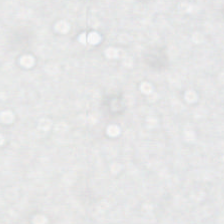H&E stain — Content — no tissue.
